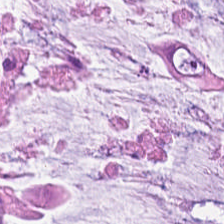H&E-stained tissue section — The tissue here is mucus.
